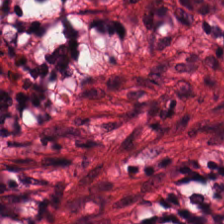H&E stain.
Finding — lymphoid infiltrate.
